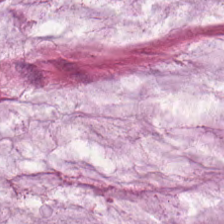H&E patch showing extracellular mucin.
